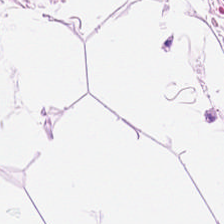Brightfield microscopy. Hematoxylin and eosin — Tissue type: adipose.
